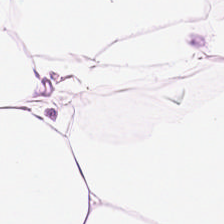Hematoxylin-and-eosin stained section · 224×224 px patch · brightfield microscopy.
Q: What is shown here?
A: The field shows adipose.
